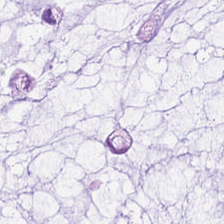This field is mucin.
